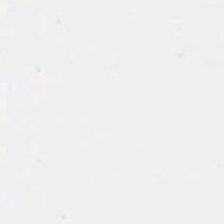Formalin-fixed paraffin-embedded section · 0.5 microns per pixel · H&E stain. No tissue present; background only.
